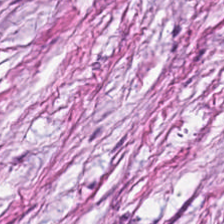H&E-stained tissue section showing tumor-associated stroma.
